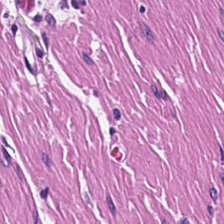H&E stain. Showing smooth muscle.
